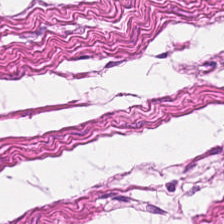H&E-stained tissue section — Q: What tissue type is shown here?
A: This is smooth-muscle tissue.
